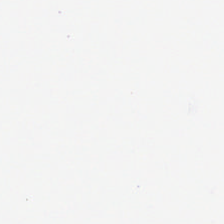{"content": "background (no tissue)"}
